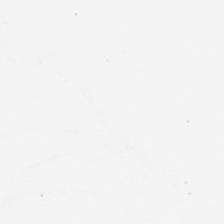Stain: hematoxylin-and-eosin stained section.
Classification: no tissue.
